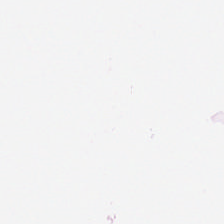Stain: hematoxylin and eosin.
Classification: adipose.
